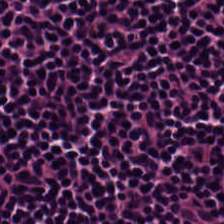H&E-stained tissue section.
This field is lymphocytic infiltrate.
